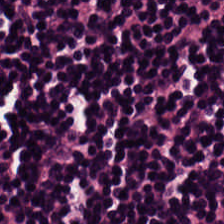H&E-stained tissue section — Tissue class — lymphocytes.
